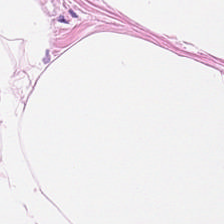H&E-stained tissue section. Brightfield. FFPE — Adipose.
